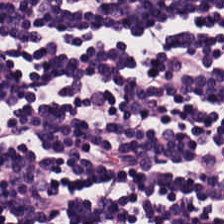Brightfield · H&E — Q: What does this patch show?
A: This is lymphoid infiltrate.
